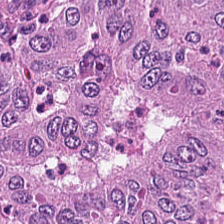Stain: hematoxylin-and-eosin stained section.
Tissue class: malignant epithelium.
